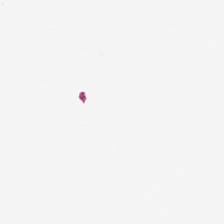Hematoxylin and eosin.
No tissue present; background only.
